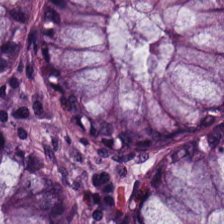Stain: H&E stain.
Preparation: FFPE.
Predominant tissue: non-neoplastic colon mucosa.
